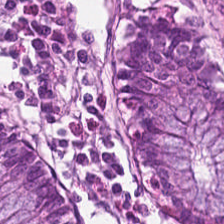0.5 µm per pixel · 224×224 pixel tile · H&E-stained tissue section — Q: What type of tissue is this?
A: This is benign colonic mucosa.
